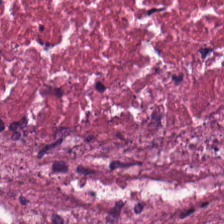H&E-stained tissue section. Showing cellular debris.
